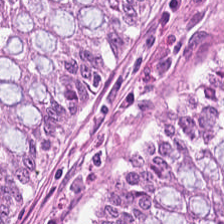This patch shows normal colon mucosa.
